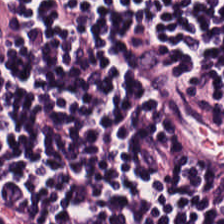Hematoxylin-and-eosin stained section · FFPE — Q: What type of tissue is this?
A: The field shows lymphoid infiltrate.
